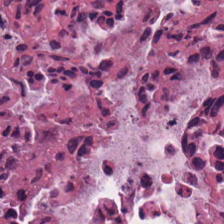224×224 pixel tile; hematoxylin and eosin; 0.5 µm/px.
This field is cellular debris.
